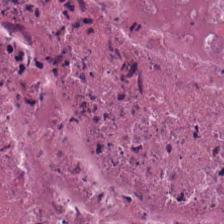Stain: hematoxylin and eosin.
Classification: debris.
